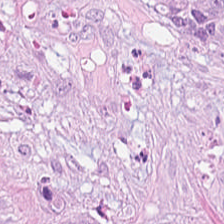224×224 px tile · hematoxylin and eosin · brightfield.
The tissue here is colorectal adenocarcinoma.
